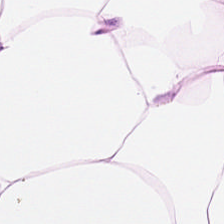Finding → adipocytes.
